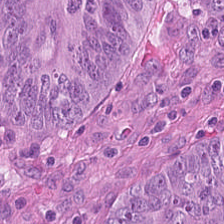Hematoxylin and eosin — The tissue here is colorectal adenocarcinoma.
